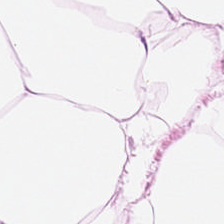WSI patch. H&E.
Histology → adipose tissue.
